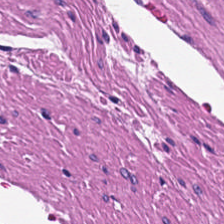Brightfield microscopy · hematoxylin-and-eosin stained section · 224×224 pixel tile. This patch shows smooth-muscle tissue.
